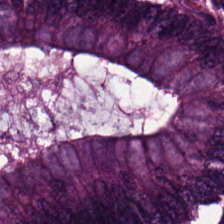H&E-stained tissue section — Impression — colorectal adenocarcinoma epithelium.
